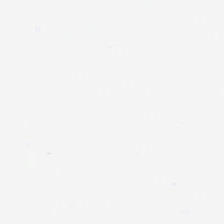Hematoxylin-and-eosin stained section.
Classification: background (no tissue).
